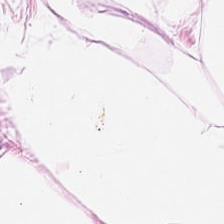H&E-stained tissue section — Q: What is shown here?
A: It is adipocytes.
